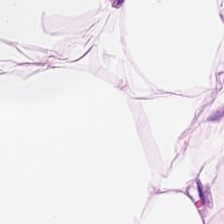H&E.
This patch shows fat tissue.
